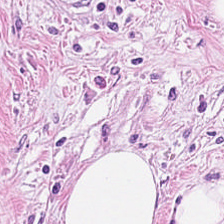0.5 µm per pixel. H&E stain.
{"tissue_type": "tumor-associated stroma"}
